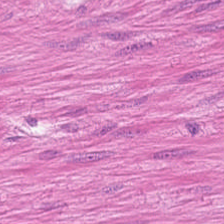H&E stain — The tissue here is smooth muscle.
